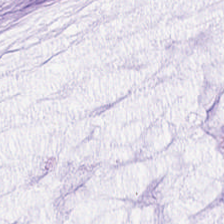Brightfield · hematoxylin and eosin.
Tissue class = extracellular mucin.
